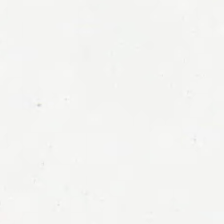H&E-stained tissue section. Content = background.
